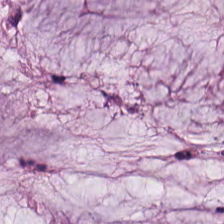Hematoxylin-and-eosin stained section · 0.5 microns per pixel. Q: What tissue is shown?
A: It is extracellular mucin.
